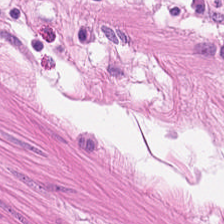H&E-stained section; the field shows smooth-muscle tissue.
